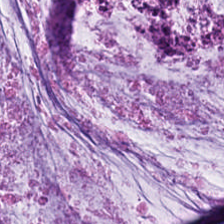Hematoxylin-and-eosin stained section. Tissue = mucin.
